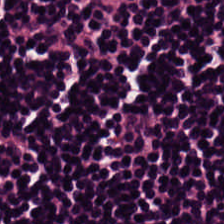H&E — Histology — lymphocyte aggregate.
